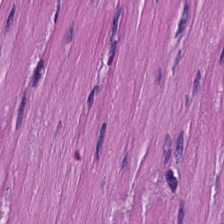Stain: hematoxylin and eosin.
Preparation: formalin-fixed paraffin-embedded section.
Resolution: 20× equivalent magnification.
Tissue type: smooth muscle.
